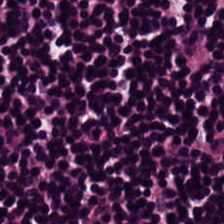Stain: H&E.
Classification: lymphocytes.
